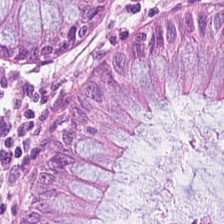Q: What is shown here?
A: Benign colonic mucosa.
